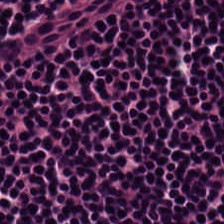FFPE tissue section; hematoxylin and eosin; 224×224 px patch.
Showing lymphocytes.
